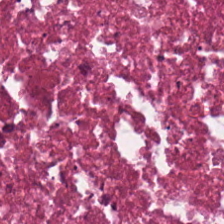224×224 px patch · H&E.
Q: What does this patch show?
A: Debris.
